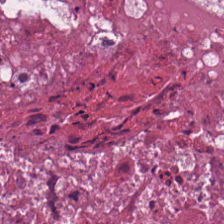H&E.
The predominant tissue is cellular debris.
